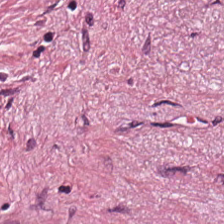H&E patch showing tumor stroma.
